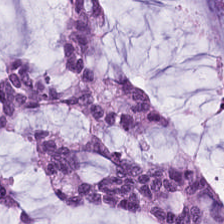Stain: hematoxylin and eosin.
Tile size: 224×224 pixel tile.
Predominant tissue: extracellular mucin.
